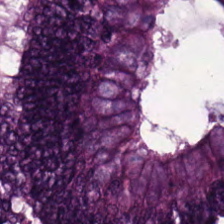Hematoxylin and eosin. Histology — colorectal adenocarcinoma.
